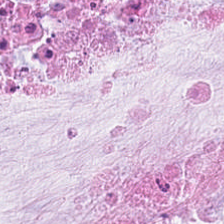Hematoxylin-and-eosin stained section.
Impression — extracellular mucin.
